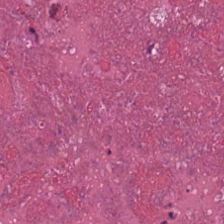H&E stain; 0.5 µm per pixel — The predominant tissue is necrotic debris.
